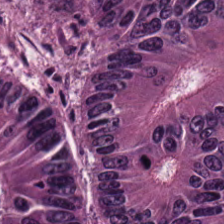H&E stain; formalin-fixed paraffin-embedded section — The tissue is colorectal adenocarcinoma epithelium.
